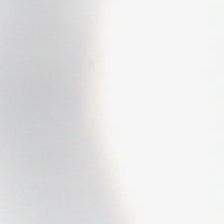20× equivalent magnification. Hematoxylin-and-eosin stained section.
Finding — empty background.
